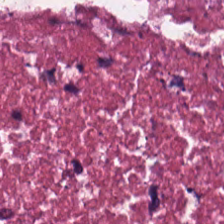FFPE tissue section; H&E stain.
Q: What is shown here?
A: Cellular debris.
